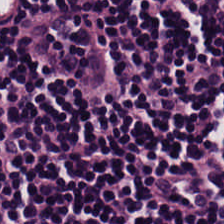The tissue is lymphocytic infiltrate.
